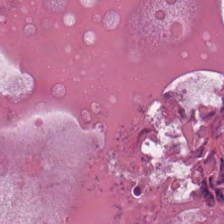Tissue class: necrotic debris.
